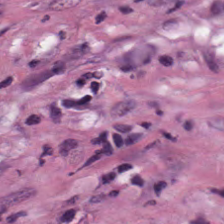Hematoxylin-and-eosin stained section.
Histology — tumor-associated stroma.
